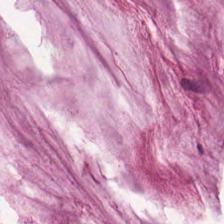H&E stain — The tissue type is extracellular mucin.
